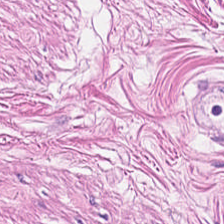0.5 µm/px; hematoxylin-and-eosin stained section; 224×224 px tile. Smooth muscle.
